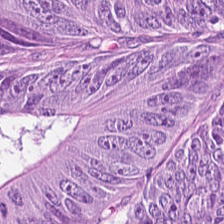This patch shows colorectal adenocarcinoma.
